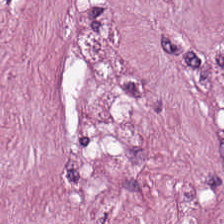Hematoxylin-and-eosin stained section — Histology → cancer-associated stroma.
